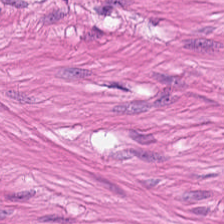H&E; WSI patch.
Histology — muscularis.
